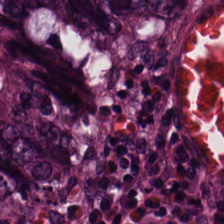Hematoxylin and eosin.
The tissue is colorectal adenocarcinoma epithelium.
